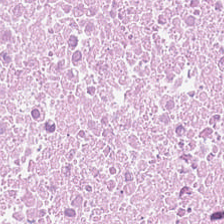Q: Classify this patch.
A: The field shows debris.
